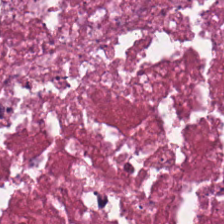H&E stain. Predominantly necrotic debris.
